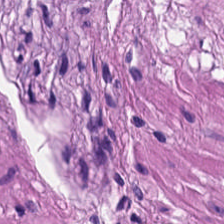H&E stain.
This patch shows smooth muscle.
